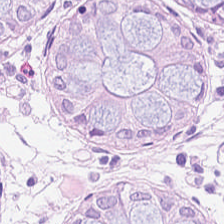Stain: H&E stain.
Tissue type: normal colon mucosa.
